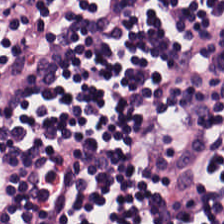H&E-stained tissue section · 0.5 µm/px · formalin-fixed paraffin-embedded section — Lymphocyte aggregate.
